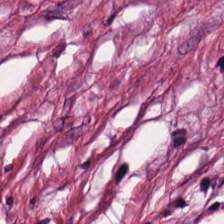H&E — Classification: cancer-associated stroma.
